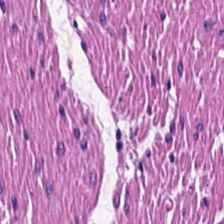Hematoxylin and eosin. This field is smooth-muscle tissue.
